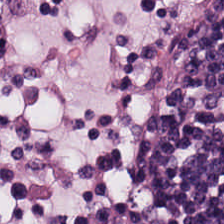0.5 microns per pixel · H&E-stained tissue section · 224×224 pixel tile — Predominantly lymphocytes.
